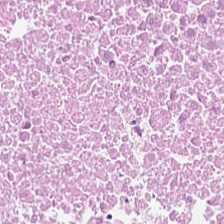H&E. Tissue — necrotic debris.
